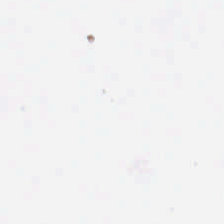Hematoxylin-and-eosin stained section — Impression → background (no tissue).
